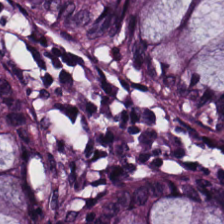224×224 px patch. H&E stain. FFPE. Q: Identify the tissue.
A: The field shows benign colonic mucosa.
